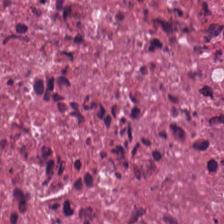Debris.
